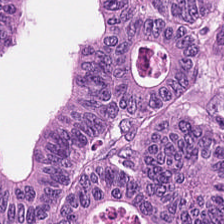Stain: H&E stain.
Resolution: 0.5 microns per pixel.
Preparation: FFPE.
Classification: malignant epithelium.
